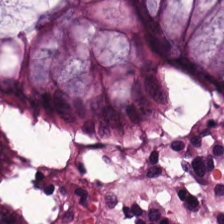H&E. Q: Identify the tissue.
A: It is benign colonic mucosa.
